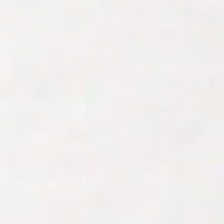Background — no tissue in this field.
